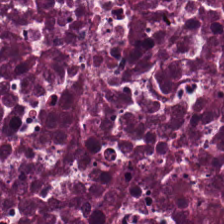H&E-stained tissue section — The tissue here is cellular debris.
